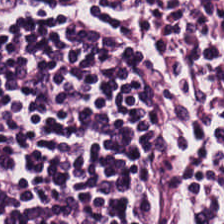Whole-slide-image patch; H&E stain — This field is lymphoid infiltrate.
